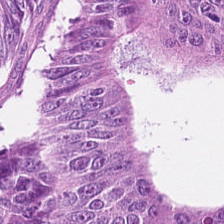Formalin-fixed paraffin-embedded section · hematoxylin-and-eosin stained section — The tissue is tumor epithelium.
